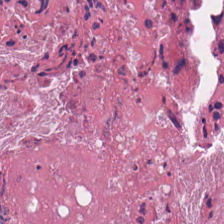H&E patch showing necrotic debris.
